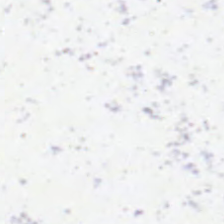Hematoxylin-and-eosin stained section.
No tissue present; background only.
